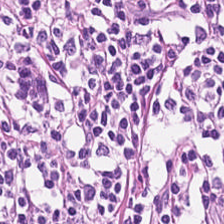The tissue is lymphocyte aggregate.
